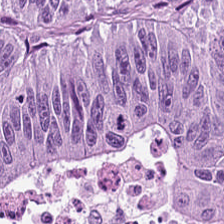H&E stain — Classification: malignant epithelium.
